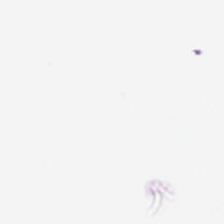Field content: background (no tissue).
